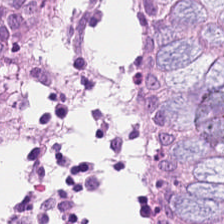Q: What tissue type is shown here?
A: It is benign colonic mucosa.
